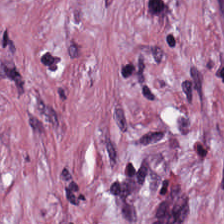H&E-stained tissue section — The predominant tissue is tumor stroma.
